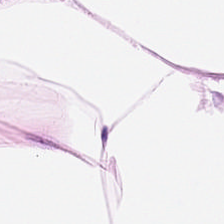FFPE. H&E stain. 224×224 px patch — Q: What is shown in this field?
A: It is adipose.
